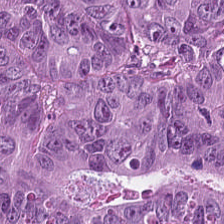224×224 px patch; H&E-stained tissue section — This patch shows malignant epithelium.
